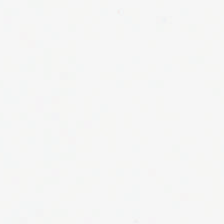Q: Classify this patch.
A: The field shows background.
